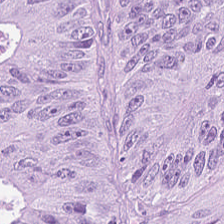H&E stain.
This patch shows malignant epithelium.
